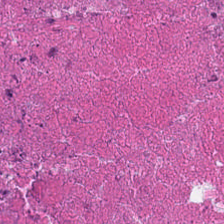H&E-stained tissue section. Debris.
